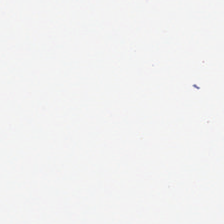Q: What does this patch show?
A: It is no tissue.
